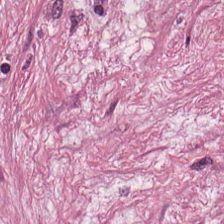WSI patch; H&E-stained tissue section; 0.5 µm per pixel — Showing tumor-associated stroma.
